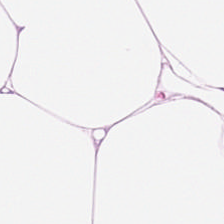Stain: H&E.
Predominant tissue: fat tissue.
